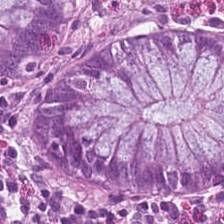H&E stain. {"tissue_type": "normal colonic mucosa"}
